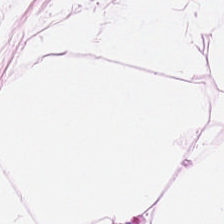H&E stain — This patch shows adipocytes.
